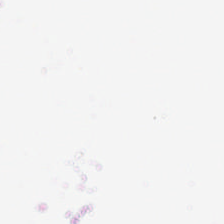H&E-stained tissue section.
Background — no tissue in this field.
